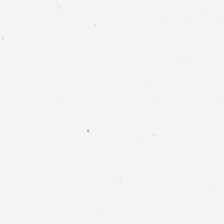H&E-stained tissue section.
This patch shows background (no tissue).
